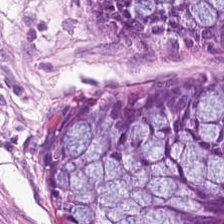H&E. This field is normal colon mucosa.
